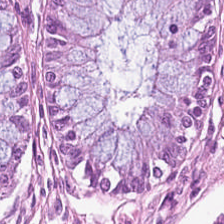Hematoxylin-and-eosin stained section — The predominant tissue is normal colon mucosa.
